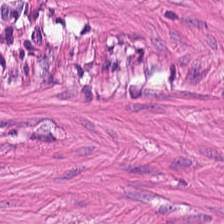Hematoxylin and eosin. Q: What is shown here?
A: It is smooth-muscle tissue.
